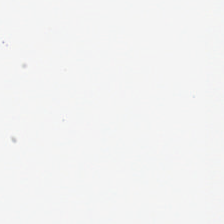Hematoxylin-and-eosin stained section — Impression — background (no tissue).
